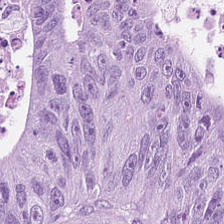20× equivalent magnification; H&E — This patch shows tumor epithelium.
